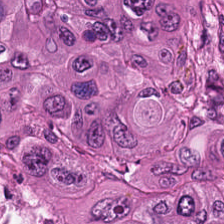Hematoxylin and eosin.
Impression — tumor epithelium.
